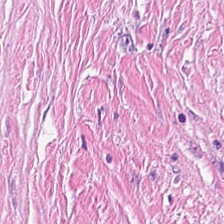Q: What is shown in this field?
A: This is tumor stroma.
